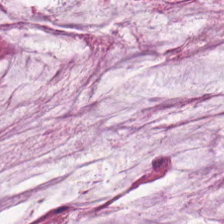H&E — This patch shows mucus.
